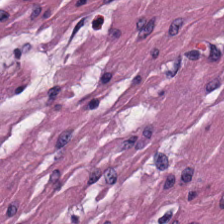Hematoxylin-and-eosin stained section — Smooth-muscle tissue.
